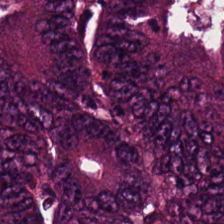This patch shows malignant epithelium.
